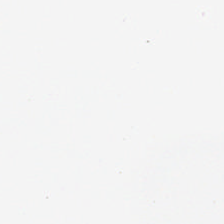H&E stain · 224×224 px tile — Impression → background (no tissue).
